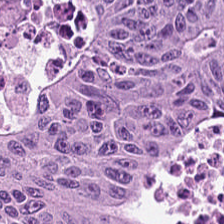Tissue — colorectal adenocarcinoma epithelium.
